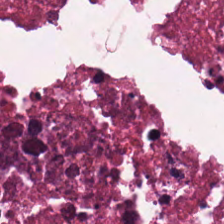224×224 pixel tile; H&E-stained tissue section; FFPE. The tissue here is debris.
